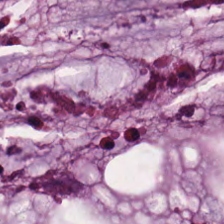H&E stain.
{"tissue_type": "mucus"}
